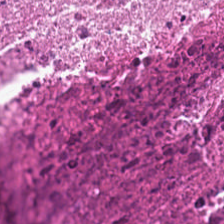Hematoxylin-and-eosin stained section.
Predominantly cellular debris.
